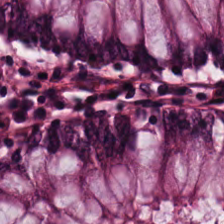Hematoxylin-and-eosin stained section — Showing normal colon mucosa.
